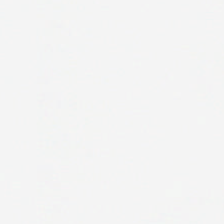FFPE tissue section; H&E-stained tissue section — Classification — background (no tissue).
